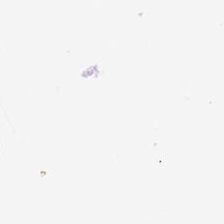H&E.
Background — no tissue in this field.
